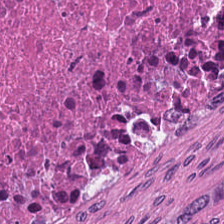H&E. Predominantly necrotic debris.
